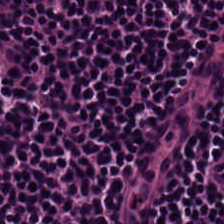H&E-stained tissue section. The tissue type is lymphocytes.
